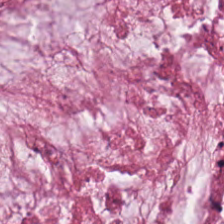Stain: H&E-stained tissue section.
Tissue type: extracellular mucin.
